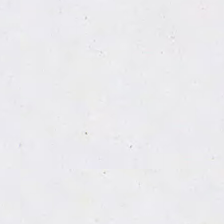Stain: H&E-stained tissue section.
Preparation: FFPE tissue section.
Tile size: 224×224 pixel tile.
Content: no tissue.
